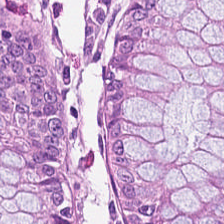H&E-stained tissue section. Histology — normal colonic mucosa.
